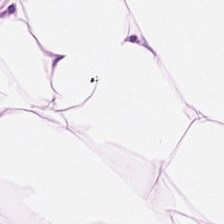Hematoxylin and eosin.
Classification — fat tissue.
